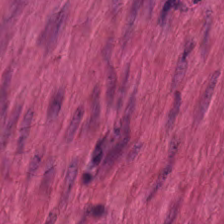Finding → smooth muscle.
